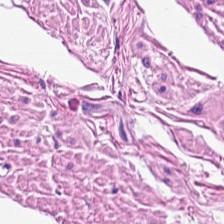Tissue type — muscularis.
